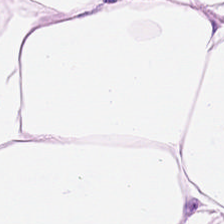H&E patch showing adipocytes.
